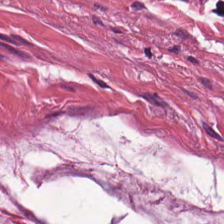0.5 µm/px. Hematoxylin and eosin. Whole-slide-image patch.
Predominant tissue — extracellular mucin.
